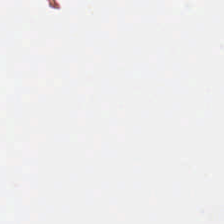H&E-stained tissue section — This field is background (no tissue).
